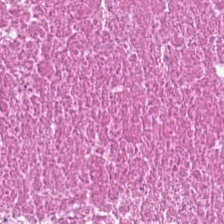H&E-stained tissue section — {"tissue_type": "cellular debris"}
